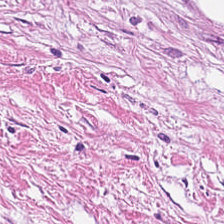H&E; 224×224 pixel tile; FFPE — Q: Identify the tissue.
A: The field shows tumor stroma.
